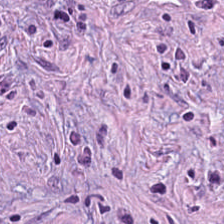The predominant tissue is desmoplastic stroma.
